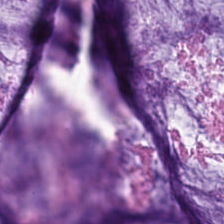H&E.
Tissue class = mucus.
